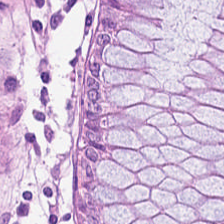H&E stain.
This field is normal colon mucosa.
